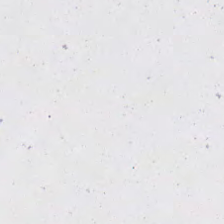Stain: H&E-stained tissue section.
Resolution: 20× equivalent magnification.
Preparation: FFPE tissue section.
Classification: no tissue.
